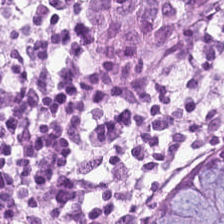Stain: hematoxylin and eosin.
Tissue: benign colonic mucosa.
